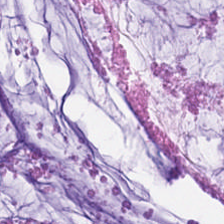This field is extracellular mucin.
